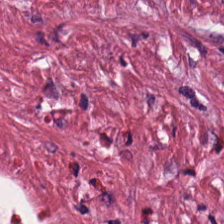Stain: H&E-stained tissue section.
Acquisition: WSI patch.
Predominant tissue: desmoplastic stroma.
